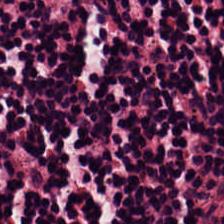Classification = lymphocytes.
